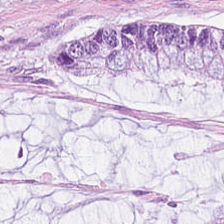Impression → mucin.
